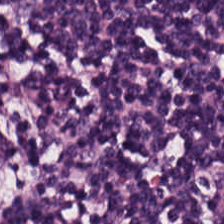224×224 px tile. Hematoxylin-and-eosin stained section.
Classification: lymphocytic infiltrate.
